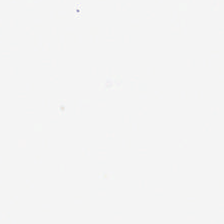H&E.
Field content = background (no tissue).
